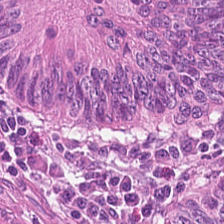Hematoxylin and eosin.
Q: Classify this patch.
A: Adenocarcinoma.
